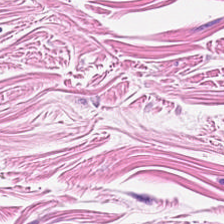The predominant tissue is smooth muscle.
